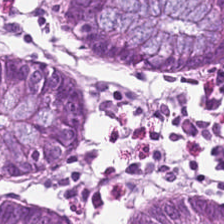Hematoxylin-and-eosin stained section.
The predominant tissue is normal colonic mucosa.
